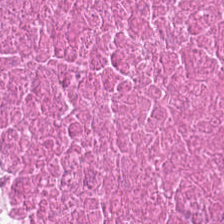Finding → cellular debris.
